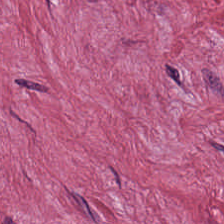Hematoxylin-and-eosin stained section.
Q: What type of tissue is this?
A: This is cancer-associated stroma.
